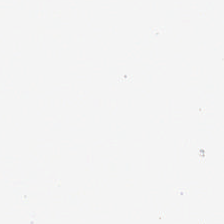Brightfield microscopy · H&E. Content — background (no tissue).
